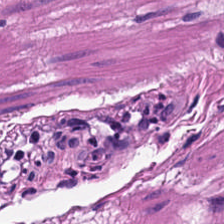WSI patch · H&E stain. Smooth-muscle tissue.
